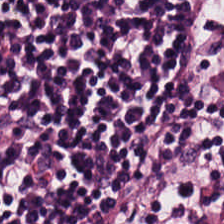H&E stain.
Lymphocyte aggregate.
